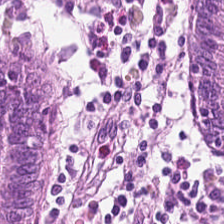WSI patch · 224×224 pixel tile · H&E — This patch shows normal colon mucosa.
